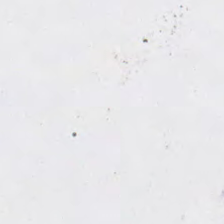Q: What does this patch show?
A: The field shows empty background.
